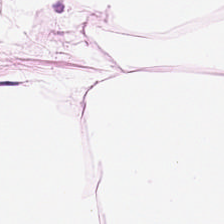H&E-stained tissue section. Showing adipocytes.
